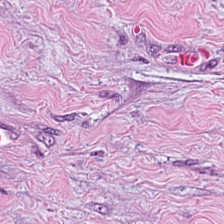Hematoxylin and eosin.
Classification: tumor-associated stroma.
